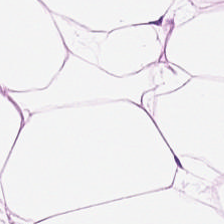Stain: hematoxylin-and-eosin stained section.
Resolution: 0.5 µm/px.
Classification: fat tissue.
